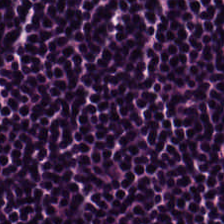H&E-stained tissue section.
{"tissue_type": "lymphocytic infiltrate"}
